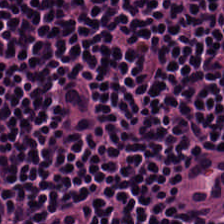Impression → lymphocytic infiltrate.
